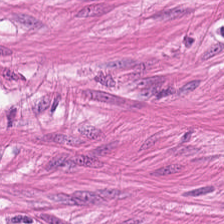224×224 px tile · FFPE · H&E. The predominant tissue is smooth-muscle tissue.
